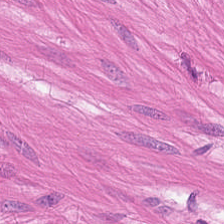0.5 microns per pixel; WSI patch; H&E-stained tissue section.
Q: What tissue type is shown here?
A: The field shows smooth-muscle tissue.
